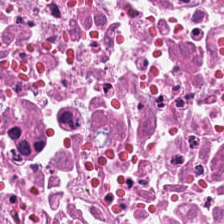H&E.
Necrotic debris.
